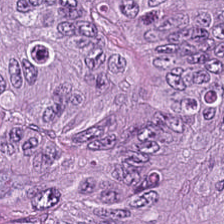Stain: H&E.
Tile size: 224×224 px patch.
Tissue: adenocarcinoma.
